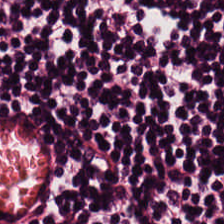Hematoxylin and eosin; brightfield microscopy.
{"tissue_type": "lymphoid infiltrate"}
